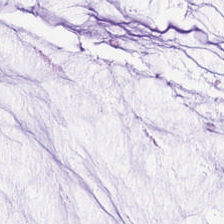Brightfield microscopy · 224×224 pixel tile · hematoxylin-and-eosin stained section — Tissue type — mucin.
